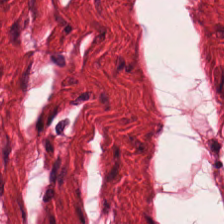Muscularis.
